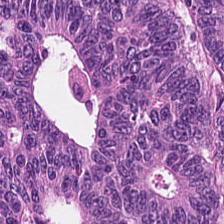Hematoxylin and eosin. Impression → malignant epithelium.
